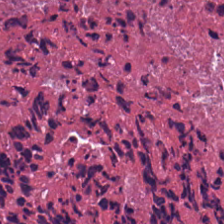H&E patch showing necrotic debris.
